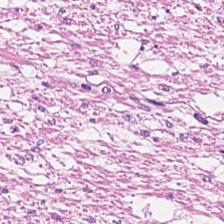H&E-stained tissue section; whole-slide-image patch — This field is muscularis.
